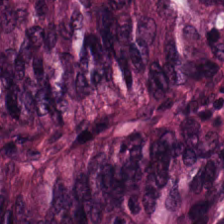H&E-stained tissue section; brightfield microscopy.
Predominant tissue = colorectal adenocarcinoma.
